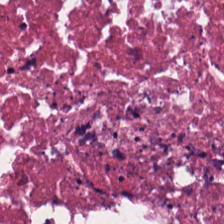The predominant tissue is cellular debris.
